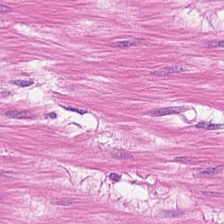Hematoxylin and eosin. Classification = smooth-muscle tissue.
